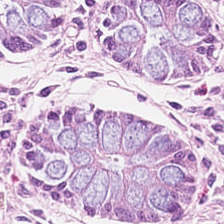H&E — Showing benign colonic mucosa.
